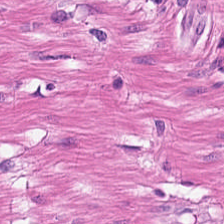Q: What type of tissue is this?
A: This is smooth muscle.
